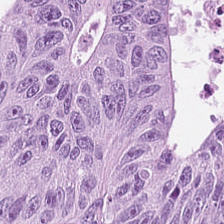20× equivalent magnification. 224×224 px patch. Hematoxylin-and-eosin stained section — Predominantly malignant epithelium.
